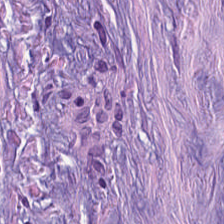FFPE tissue section. 0.5 microns per pixel. H&E.
Q: Classify this patch.
A: It is tumor stroma.
